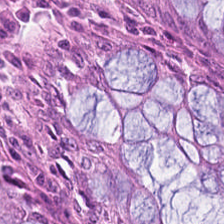H&E stain · formalin-fixed paraffin-embedded section · 20× equivalent magnification. Q: What is shown in this field?
A: This is normal colon mucosa.
